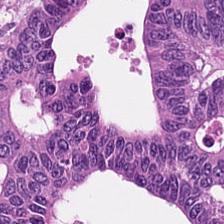Formalin-fixed paraffin-embedded section. H&E stain. 224×224 pixel tile.
Showing malignant epithelium.
